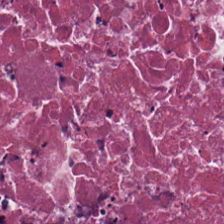H&E stain. Impression → necrotic debris.
